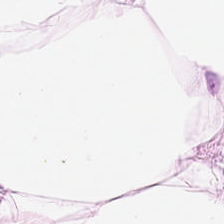Impression — adipose tissue.
